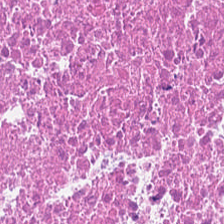H&E-stained section; the field shows necrotic debris.
